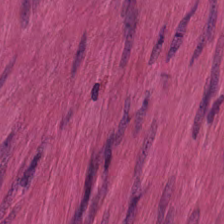H&E · 0.5 µm per pixel. The predominant tissue is muscularis.
